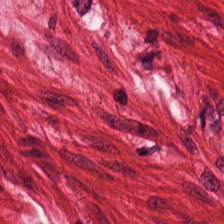The tissue class is muscularis.
